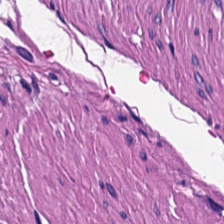Hematoxylin-and-eosin stained section. Tissue type = smooth muscle.
